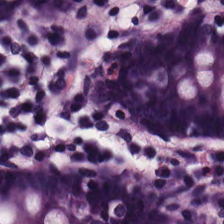H&E. FFPE. Brightfield microscopy — Q: Identify the tissue.
A: The field shows normal colonic mucosa.
